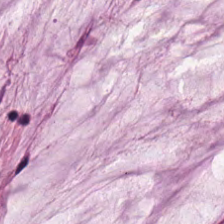H&E.
Q: What tissue is shown?
A: Mucus.
